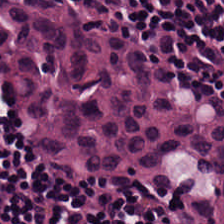WSI patch. Hematoxylin and eosin. FFPE. Q: Identify the tissue.
A: Lymphocytes.
